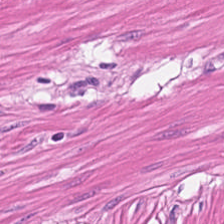Tissue = muscularis.
